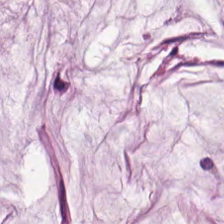224×224 px tile · hematoxylin and eosin · 0.5 µm/px.
Impression → mucin.
